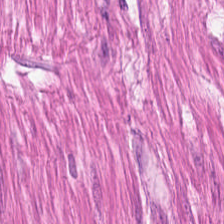Smooth-muscle tissue.
